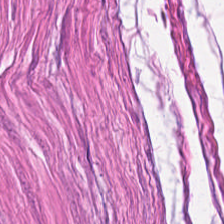FFPE. 0.5 µm per pixel. Hematoxylin and eosin — Q: What tissue type is shown here?
A: Smooth muscle.
